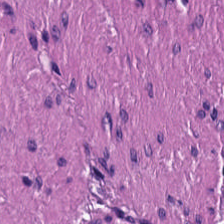Hematoxylin and eosin. Whole-slide-image patch. Predominantly smooth-muscle tissue.
